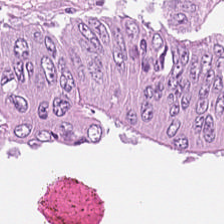H&E stain; FFPE tissue section; 0.5 microns per pixel — Colorectal adenocarcinoma epithelium.
